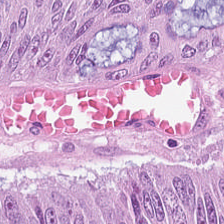0.5 µm/px. H&E — Tissue = colorectal adenocarcinoma epithelium.
